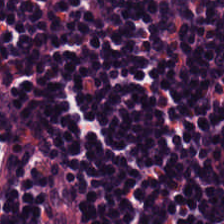Stain: H&E stain.
Tissue class: lymphocytic infiltrate.
